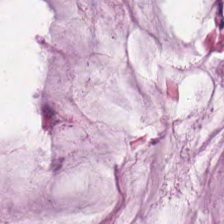FFPE; H&E-stained tissue section — Tissue class — mucin.
